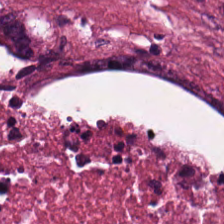H&E stain. Q: What is the predominant tissue type?
A: This is debris.
